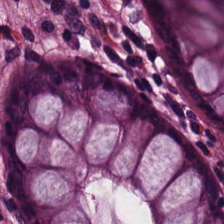Hematoxylin and eosin — Non-neoplastic colon mucosa.
